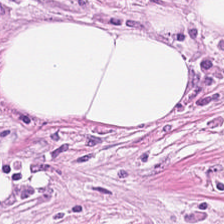Q: What is shown here?
A: It is tumor stroma.
